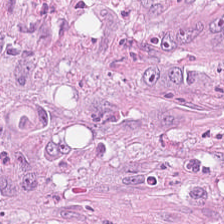224×224 px tile · H&E stain.
This field is colorectal adenocarcinoma.
